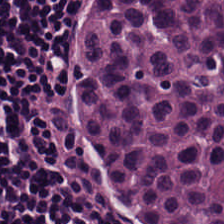This field is lymphocytic infiltrate.
